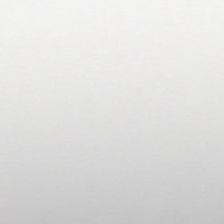224×224 pixel tile · FFPE · H&E-stained tissue section.
{"content": "no tissue"}
